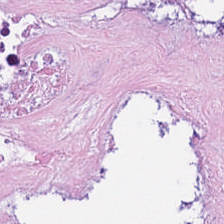Hematoxylin and eosin. Tissue: necrotic debris.
